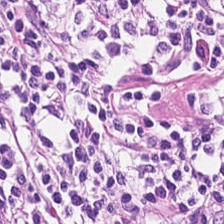Classification = lymphocytes.
